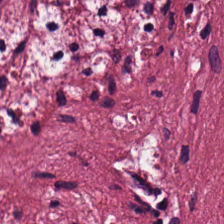H&E-stained tissue section; FFPE tissue section — Q: What tissue type is shown here?
A: It is desmoplastic stroma.
